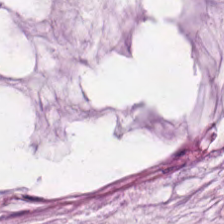Hematoxylin and eosin — Finding — extracellular mucin.
